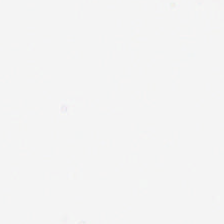Hematoxylin and eosin.
Content = background (no tissue).
